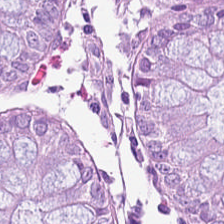Formalin-fixed paraffin-embedded section · H&E — Q: What tissue type is shown here?
A: Normal colon mucosa.
